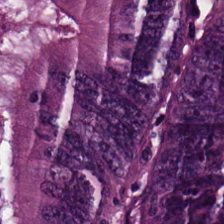224×224 px patch · hematoxylin and eosin.
Predominantly colorectal adenocarcinoma.
